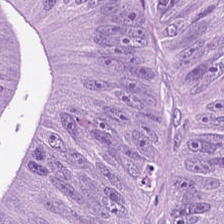Q: What is shown here?
A: This is colorectal adenocarcinoma epithelium.
